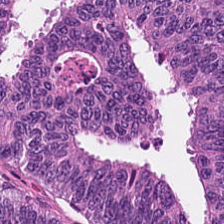Q: What is shown here?
A: The field shows malignant epithelium.
